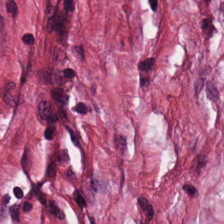Hematoxylin and eosin. Predominantly cancer-associated stroma.
